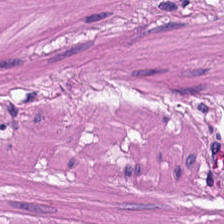224×224 pixel tile; H&E; brightfield microscopy — Finding → smooth muscle.
